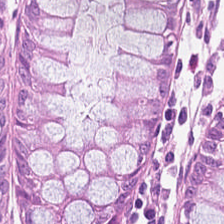H&E-stained tissue section — Non-neoplastic colon mucosa.
